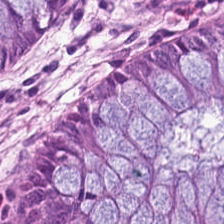Hematoxylin and eosin. The tissue here is benign colonic mucosa.
